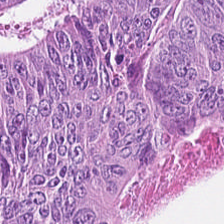Hematoxylin and eosin.
Q: What tissue is shown?
A: It is malignant epithelium.
